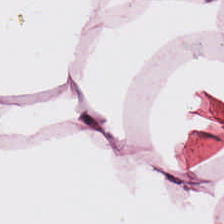Hematoxylin-and-eosin stained section — {"tissue_type": "adipose"}
